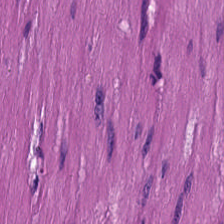Hematoxylin and eosin · 20× equivalent magnification · 224×224 px patch.
Tissue class: muscularis.
